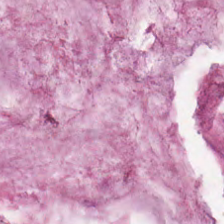224×224 px tile. FFPE. Hematoxylin and eosin.
Classification — extracellular mucin.
